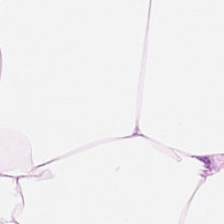Hematoxylin and eosin · 224×224 px patch. Classification: fat tissue.
